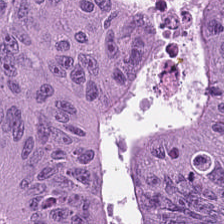Hematoxylin-and-eosin stained section.
Q: What type of tissue is this?
A: Colorectal adenocarcinoma epithelium.
